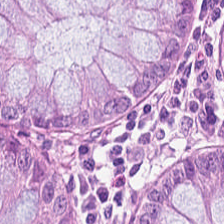H&E. The classification is normal colonic mucosa.
